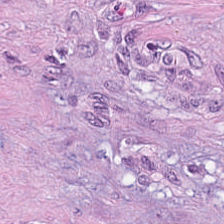H&E-stained tissue section.
Predominantly desmoplastic stroma.
